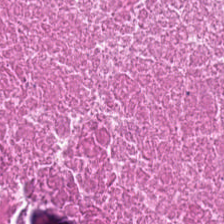Showing necrotic debris.
